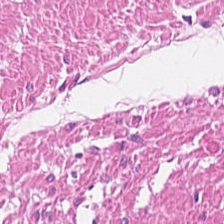Hematoxylin-and-eosin stained section — This patch shows smooth-muscle tissue.
